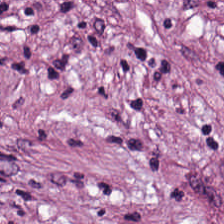Hematoxylin and eosin · 224×224 px patch — Q: Identify the tissue.
A: It is tumor-associated stroma.
